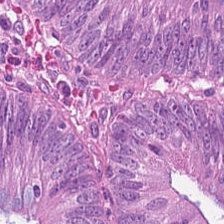Hematoxylin-and-eosin stained section. Predominantly tumor epithelium.
